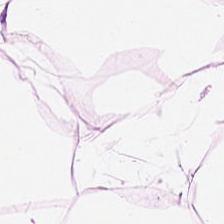Hematoxylin and eosin. Adipose.
